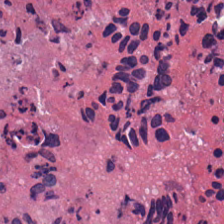Hematoxylin and eosin.
Finding → debris.
